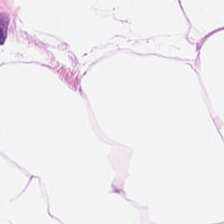H&E. Impression — fat tissue.
